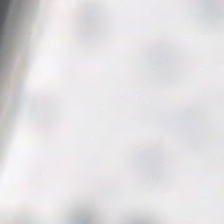Stain: H&E.
Preparation: FFPE tissue section.
Resolution: 0.5 microns per pixel.
Field content: no tissue.
